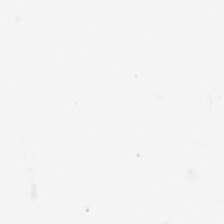H&E-stained tissue section — Impression — no tissue.
